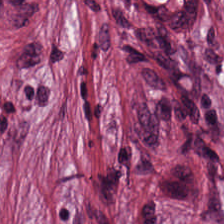H&E stain · 224×224 px patch. Predominantly desmoplastic stroma.
